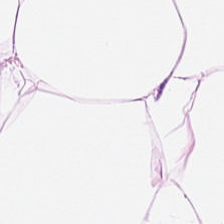0.5 µm/px; H&E. {"tissue_type": "fat tissue"}
